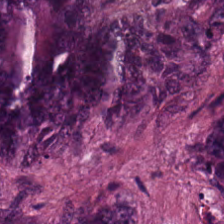H&E stain.
Tumor epithelium.
